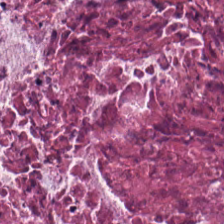Hematoxylin-and-eosin stained section; 224×224 px tile; 0.5 µm per pixel — Tissue — cellular debris.
